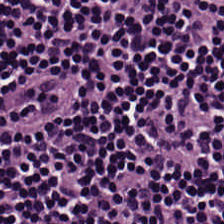H&E-stained tissue section · 224×224 px patch · whole-slide-image patch. Lymphocytic infiltrate.
